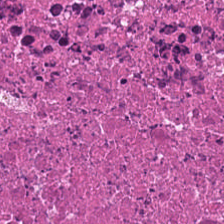Necrotic debris.
